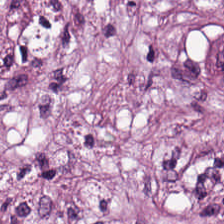H&E. Brightfield microscopy — Tissue type — tumor stroma.
